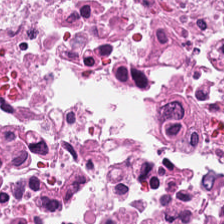Hematoxylin-and-eosin stained section. {"tissue_type": "debris"}
